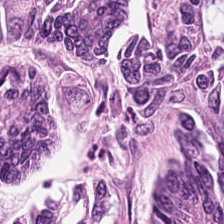Tissue type = colorectal adenocarcinoma.
